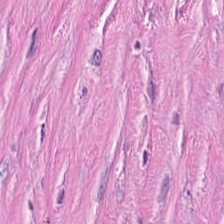The tissue class is cancer-associated stroma.
